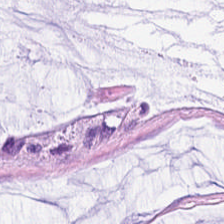H&E stain; brightfield; formalin-fixed paraffin-embedded section.
{"tissue_type": "extracellular mucin"}
